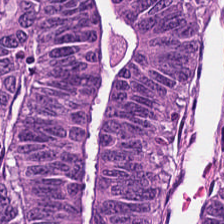Stain: H&E.
Tissue: adenocarcinoma.
